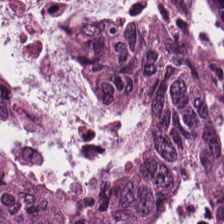0.5 microns per pixel. Hematoxylin-and-eosin stained section — Q: What is shown in this field?
A: Colorectal adenocarcinoma epithelium.
